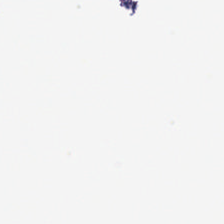Hematoxylin and eosin. FFPE.
This patch shows background (no tissue).
